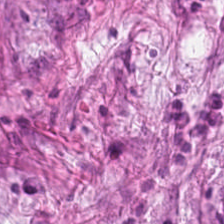Hematoxylin-and-eosin stained section.
Q: Classify this patch.
A: This is cancer-associated stroma.
